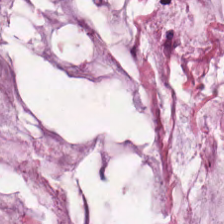H&E.
Tissue type — extracellular mucin.
